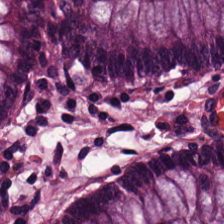Tissue = normal colonic mucosa.
